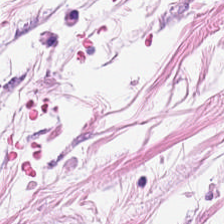H&E — Impression → adipose tissue.
